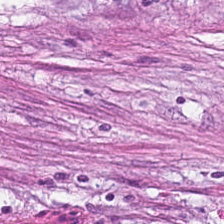224×224 px patch; H&E-stained tissue section; FFPE. Showing desmoplastic stroma.
